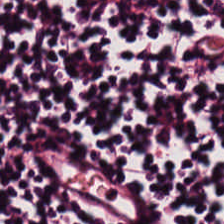Tissue: lymphocytic infiltrate.
